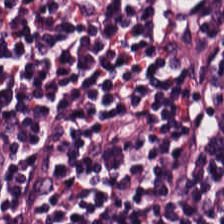Q: What tissue is shown?
A: This is lymphocytic infiltrate.
